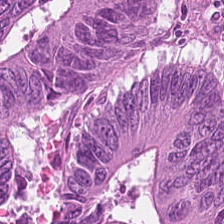Stain: H&E.
Predominant tissue: colorectal adenocarcinoma epithelium.
